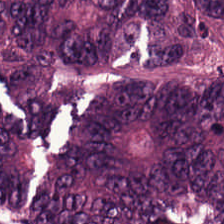224×224 px patch. H&E-stained tissue section. The predominant tissue is tumor epithelium.
